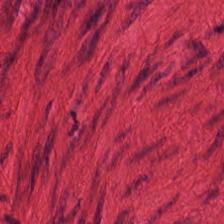Hematoxylin and eosin. Classification — smooth-muscle tissue.
